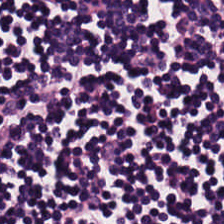224×224 pixel tile; hematoxylin-and-eosin stained section. Q: What type of tissue is this?
A: This is lymphoid infiltrate.
